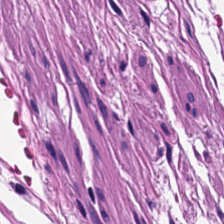H&E stain. FFPE. Showing smooth-muscle tissue.
